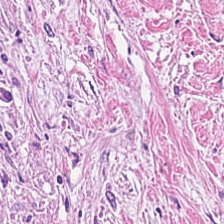H&E-stained tissue section. Tissue = desmoplastic stroma.
